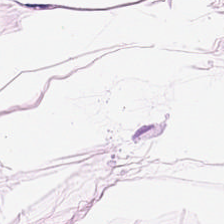The predominant tissue is adipose tissue.
